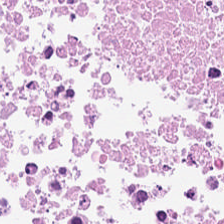224×224 pixel tile · FFPE · H&E stain. Q: What tissue type is shown here?
A: Debris.
